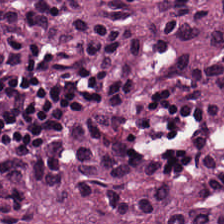Hematoxylin-and-eosin stained section. Brightfield microscopy — This patch shows colorectal adenocarcinoma epithelium.
